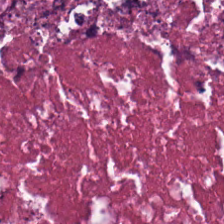{"tissue_type": "cellular debris"}
